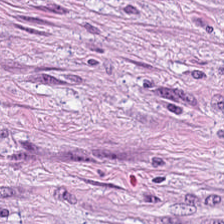This patch shows cancer-associated stroma.
